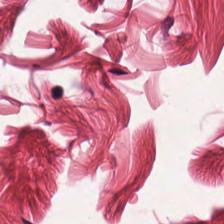Hematoxylin and eosin.
This field is muscularis.
